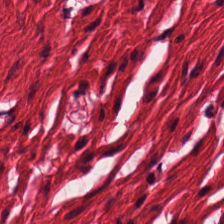H&E stain.
The predominant tissue is smooth muscle.
